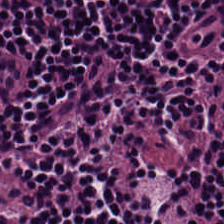H&E stain — Q: What tissue is shown?
A: Lymphocytic infiltrate.
